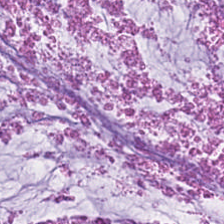Stain: hematoxylin and eosin.
Tissue class: extracellular mucin.
